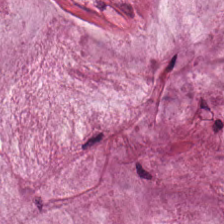H&E-stained tissue section. Showing mucus.
